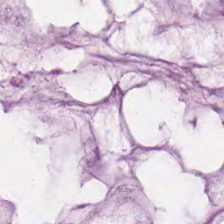Stain: H&E-stained tissue section.
Tissue class: mucin.
